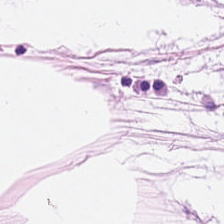Hematoxylin-and-eosin stained section; whole-slide-image patch; FFPE. The tissue here is adipocytes.
